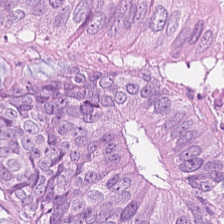WSI patch; H&E.
The tissue here is malignant epithelium.
